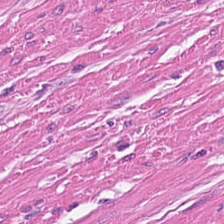H&E-stained tissue section — Q: Classify this patch.
A: It is smooth-muscle tissue.
